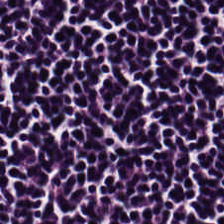Tissue — lymphocytes.
